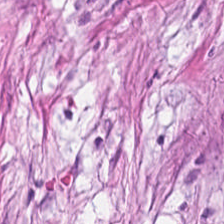{"tissue_type": "tumor stroma"}
